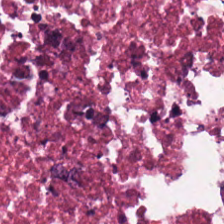Hematoxylin-and-eosin stained section; FFPE tissue section; 20× equivalent magnification. Predominant tissue = cellular debris.
